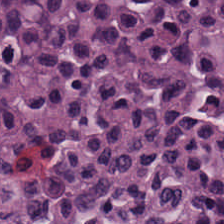Stain: H&E stain.
Tissue class: lymphocytes.
